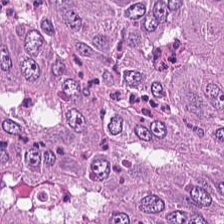H&E stain.
Q: What is the predominant tissue type?
A: It is tumor epithelium.
